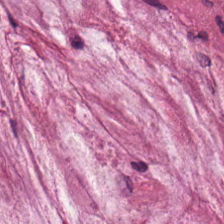H&E. The predominant tissue is mucus.
